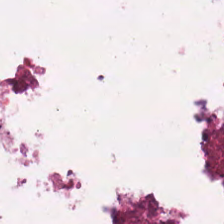Finding — necrotic debris.
